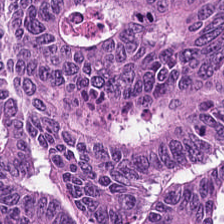H&E-stained tissue section. 224×224 px tile.
The predominant tissue is colorectal adenocarcinoma.
